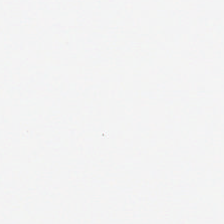H&E stain. Brightfield — Background — no tissue in this field.
